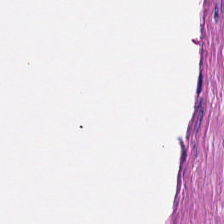{"tissue_type": "smooth muscle"}
